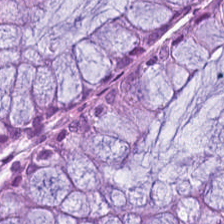Formalin-fixed paraffin-embedded section · hematoxylin-and-eosin stained section. The predominant tissue is normal colon mucosa.
